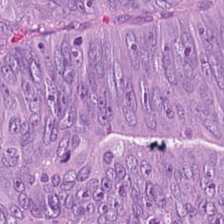H&E-stained tissue section — Adenocarcinoma.
